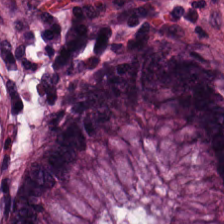H&E-stained tissue section; whole-slide-image patch.
Q: What is the predominant tissue type?
A: Benign colonic mucosa.
